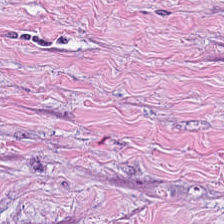H&E stain.
Tissue — desmoplastic stroma.
